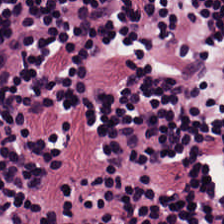Brightfield microscopy; H&E.
The tissue here is lymphocytic infiltrate.
